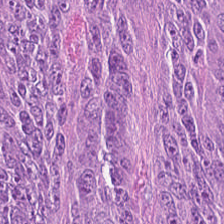H&E — Q: Classify this patch.
A: The field shows adenocarcinoma.
